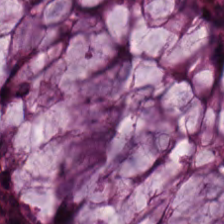H&E-stained tissue section · 224×224 px patch · FFPE. Predominant tissue = normal colon mucosa.
